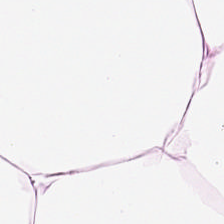H&E stain. Predominantly adipose.
